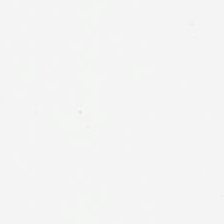H&E stain · formalin-fixed paraffin-embedded section — This field is background (no tissue).
